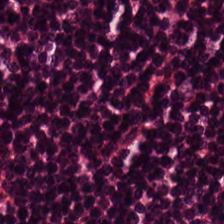H&E-stained tissue section. Showing lymphocytic infiltrate.
